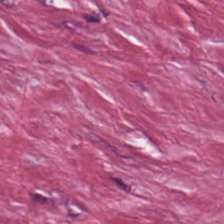H&E stain.
Classification — tumor-associated stroma.
